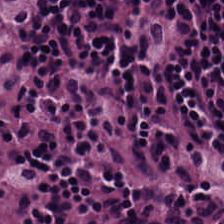H&E stain. Brightfield.
Histology → lymphocytic infiltrate.
